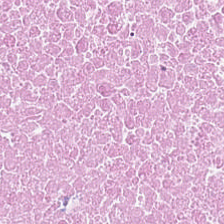Showing cellular debris.
